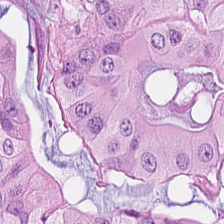WSI patch · H&E stain. Tissue class = malignant epithelium.
